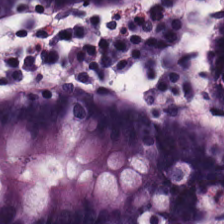Hematoxylin and eosin · 0.5 µm per pixel · brightfield microscopy — Tissue — normal colonic mucosa.
